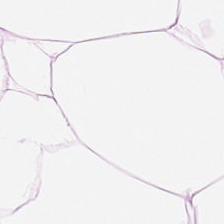224×224 pixel tile; H&E-stained tissue section. The predominant tissue is adipose.
